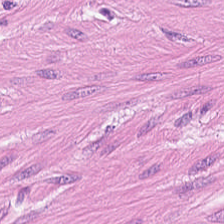H&E. Brightfield microscopy. 224×224 px patch. This field is smooth-muscle tissue.
